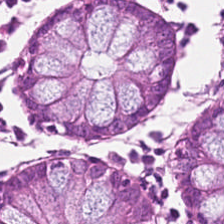Hematoxylin and eosin.
The predominant tissue is non-neoplastic colon mucosa.
